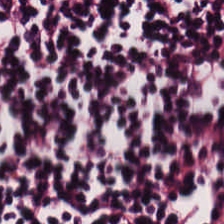This field is lymphoid infiltrate.
